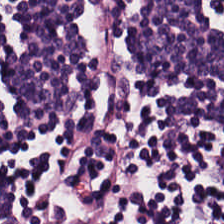Stain: hematoxylin and eosin.
Acquisition: whole-slide-image patch.
Tissue class: lymphoid infiltrate.
